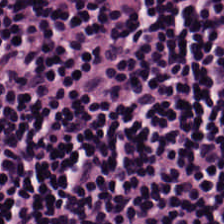224×224 px tile. Hematoxylin-and-eosin stained section.
Histology — lymphocytic infiltrate.
